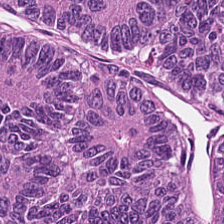Q: What does this patch show?
A: Tumor epithelium.
